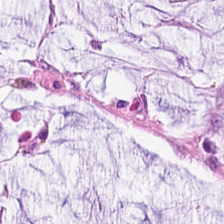FFPE. H&E stain.
The tissue here is mucus.
